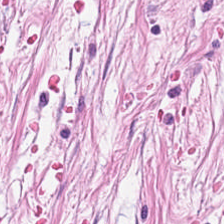Brightfield microscopy · H&E-stained tissue section. Q: What tissue type is shown here?
A: Tumor-associated stroma.
